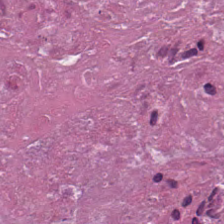H&E.
{"tissue_type": "necrotic debris"}
